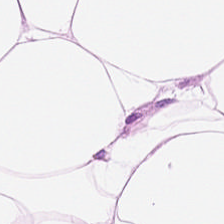H&E-stained tissue section showing adipocytes.
